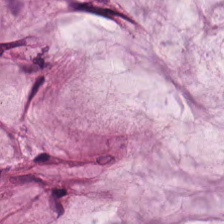Hematoxylin and eosin. 224×224 px patch. Formalin-fixed paraffin-embedded section. {"tissue_type": "extracellular mucin"}
